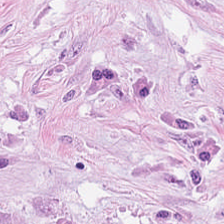Hematoxylin and eosin.
Tissue type: desmoplastic stroma.
